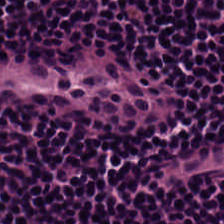H&E-stained tissue section; FFPE tissue section; brightfield microscopy.
Showing lymphocytic infiltrate.
